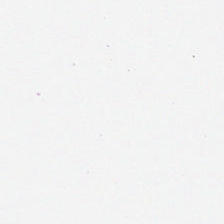H&E-stained tissue section — Classification = background (no tissue).
